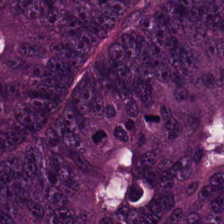Tissue type — colorectal adenocarcinoma.
